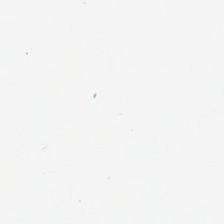Empty field — empty background.
